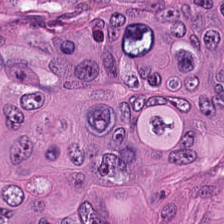H&E patch showing colorectal adenocarcinoma.
